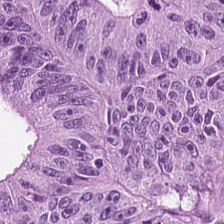Predominant tissue: tumor epithelium.
